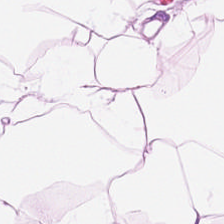Impression → adipose.
